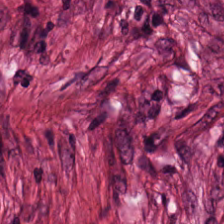Predominant tissue: cancer-associated stroma.
